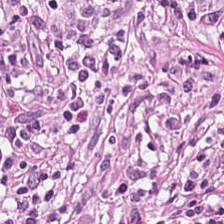Q: Identify the tissue.
A: This is cancer-associated stroma.
